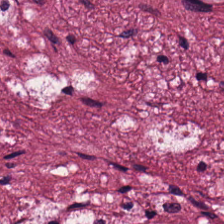0.5 µm/px; H&E. Histology — tumor-associated stroma.
